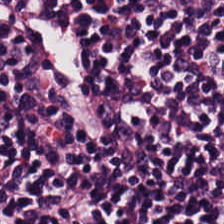H&E-stained tissue section. Formalin-fixed paraffin-embedded section. 224×224 px patch — Q: What type of tissue is this?
A: It is lymphocytes.
